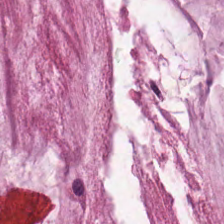H&E.
Q: What is shown in this field?
A: It is mucus.
